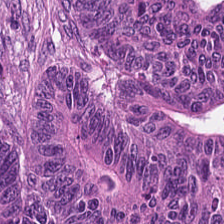H&E stain; brightfield microscopy — The tissue here is malignant epithelium.
